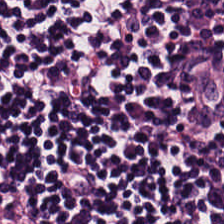WSI patch; H&E; 224×224 px patch — Q: What is the predominant tissue type?
A: The field shows lymphocytic infiltrate.
